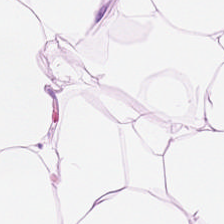H&E. The classification is adipose tissue.
